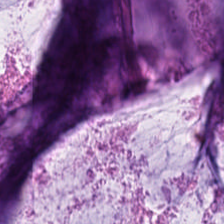20× equivalent magnification · H&E — Q: What is the predominant tissue type?
A: Extracellular mucin.
